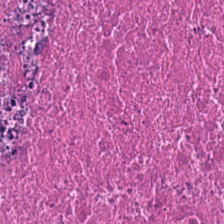Hematoxylin-and-eosin stained section.
Q: What is shown in this field?
A: The field shows necrotic debris.
